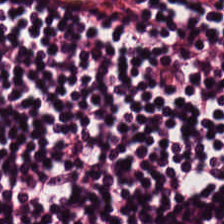Hematoxylin and eosin. 0.5 µm/px.
This field is lymphocytic infiltrate.
